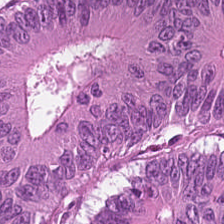Tissue = adenocarcinoma.
